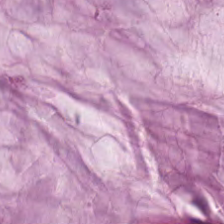Hematoxylin and eosin; 224×224 pixel tile — Finding → mucin.
